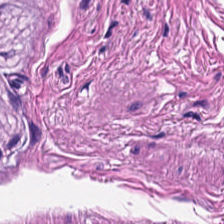Brightfield microscopy; H&E stain.
The predominant tissue is muscularis.
